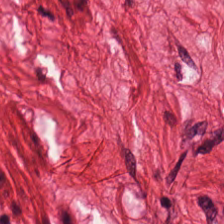Hematoxylin-and-eosin stained section — Q: What is shown in this field?
A: The field shows smooth muscle.
